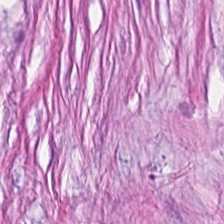Hematoxylin-and-eosin stained section. 0.5 µm per pixel. 224×224 px patch — Finding — tumor stroma.
